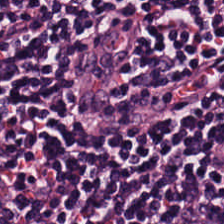20× equivalent magnification. FFPE tissue section. Hematoxylin and eosin. Histology — lymphocytes.
